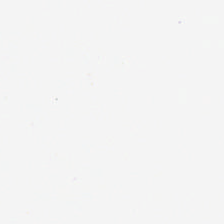Hematoxylin and eosin — Q: What does this patch show?
A: This is background.
